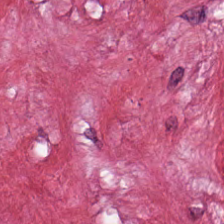Hematoxylin-and-eosin section: tumor stroma.
